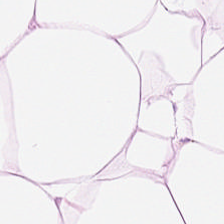FFPE tissue section; 0.5 microns per pixel; hematoxylin-and-eosin stained section. Showing adipose tissue.
